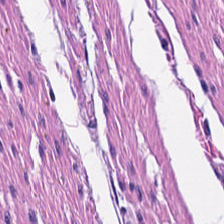This patch shows smooth-muscle tissue.
